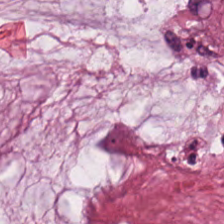Hematoxylin-and-eosin stained section. 224×224 px patch. Q: Classify this patch.
A: It is mucus.
